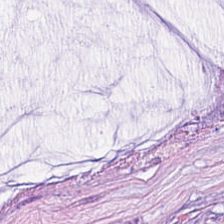Impression — mucin.
